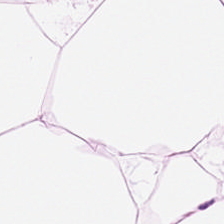Hematoxylin and eosin — The tissue here is adipocytes.
